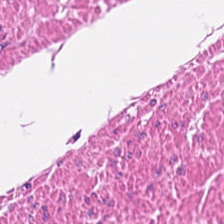Hematoxylin-and-eosin stained section — {"tissue_type": "smooth-muscle tissue"}
